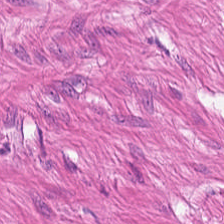Hematoxylin-and-eosin stained section — Predominant tissue = muscularis.
